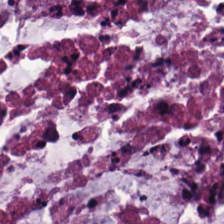Hematoxylin and eosin.
Histology — extracellular mucin.
